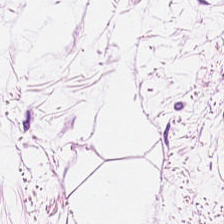H&E stain.
Tissue type — adipose tissue.
